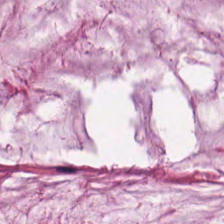The tissue here is mucin.
